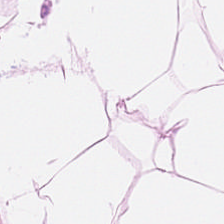WSI patch; 0.5 µm/px; H&E. Showing adipose.
